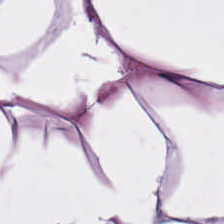H&E stain. {"tissue_type": "adipose tissue"}
